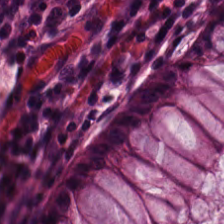Tissue class = benign colonic mucosa.
